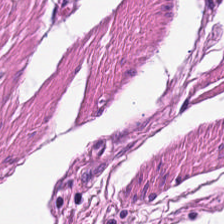The tissue here is muscularis.
